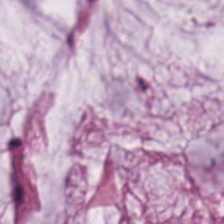Q: What type of tissue is this?
A: It is extracellular mucin.
